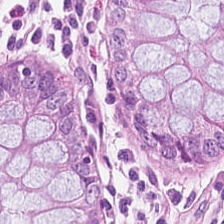H&E patch showing non-neoplastic colon mucosa.
